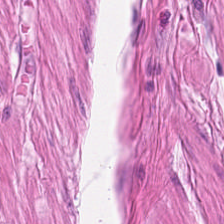Hematoxylin and eosin; brightfield microscopy; 224×224 px tile — Tissue — muscularis.
